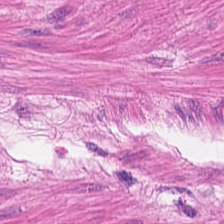Tissue class = smooth-muscle tissue.
